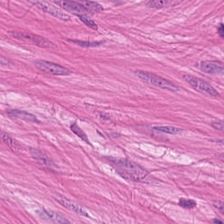Q: What tissue is shown?
A: It is smooth-muscle tissue.
